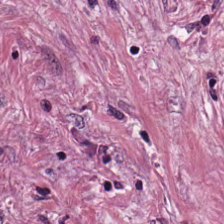0.5 µm per pixel · H&E — Q: Classify this patch.
A: It is tumor-associated stroma.
